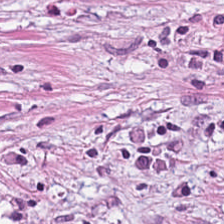H&E-stained tissue section — Q: Classify this patch.
A: Cancer-associated stroma.
